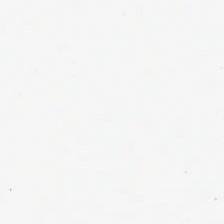Brightfield microscopy. H&E-stained tissue section. Histology — background.
